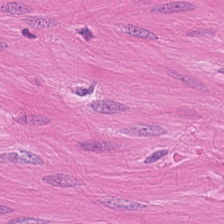Stain: H&E stain.
Tile size: 224×224 pixel tile.
Tissue class: smooth muscle.
